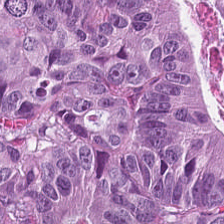224×224 pixel tile. H&E — This patch shows adenocarcinoma.
